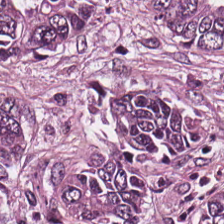H&E stain. Tissue type — malignant epithelium.
